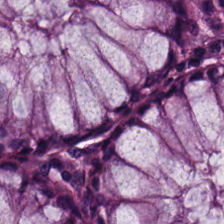Hematoxylin-and-eosin stained section. Tissue = normal colon mucosa.
